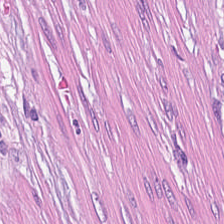WSI patch · FFPE tissue section · H&E — The predominant tissue is desmoplastic stroma.
